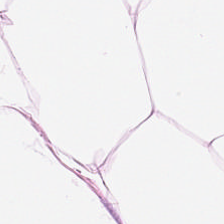{"tissue_type": "adipocytes"}
